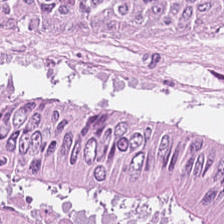H&E stain. Histology — tumor epithelium.
